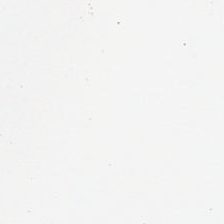Brightfield · H&E-stained tissue section · formalin-fixed paraffin-embedded section. Empty field — no tissue.
